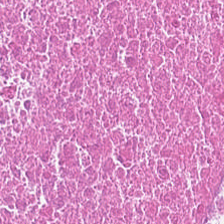Predominant tissue = necrotic debris.
